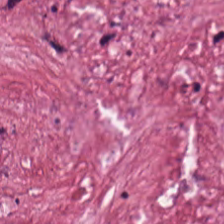Stain: H&E.
Resolution: 0.5 µm/px.
Classification: desmoplastic stroma.
